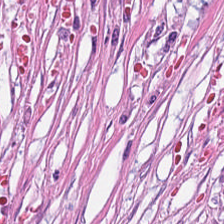224×224 px patch · H&E · 20× equivalent magnification. The predominant tissue is tumor stroma.
